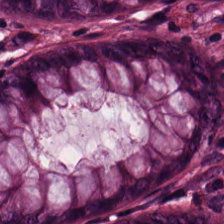H&E-stained section; the field shows normal colonic mucosa.
